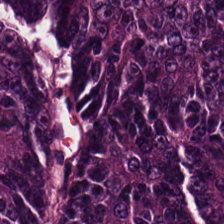Whole-slide-image patch. H&E-stained tissue section. The tissue here is adenocarcinoma.
